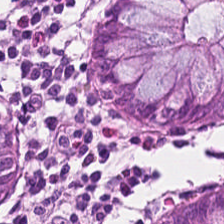Brightfield microscopy. Hematoxylin and eosin. FFPE.
Normal colonic mucosa.
